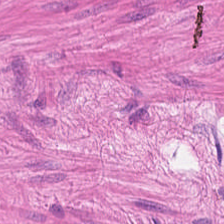H&E.
Q: What type of tissue is this?
A: Smooth-muscle tissue.
